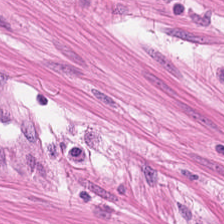Stain: hematoxylin and eosin.
Tissue class: smooth muscle.
